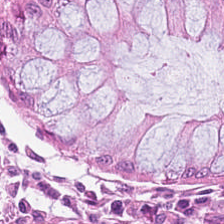H&E-stained tissue section showing non-neoplastic colon mucosa.
